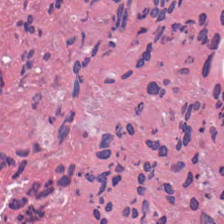H&E. Finding — necrotic debris.
